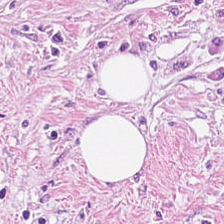Whole-slide-image patch · hematoxylin and eosin · 224×224 px tile. Tissue class = tumor-associated stroma.
